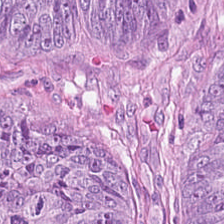Hematoxylin and eosin — Tissue — adenocarcinoma.
